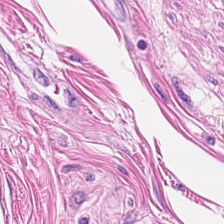Hematoxylin and eosin — Predominantly smooth-muscle tissue.
